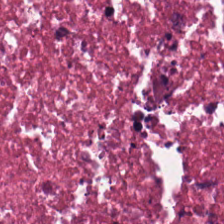H&E stain. Showing cellular debris.
